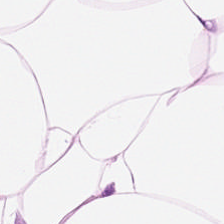Formalin-fixed paraffin-embedded section · H&E-stained tissue section. Showing adipose.
